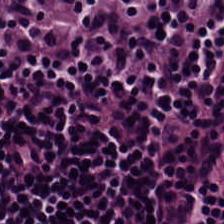H&E-stained tissue section.
The tissue here is lymphoid infiltrate.
